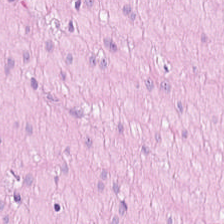H&E-stained tissue section.
Impression → muscularis.
